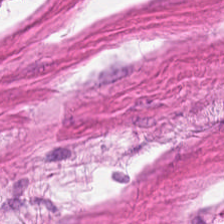H&E-stained tissue section — Tissue class — smooth-muscle tissue.
